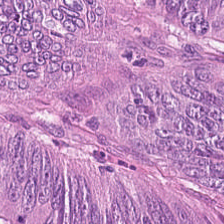Tissue — colorectal adenocarcinoma.
